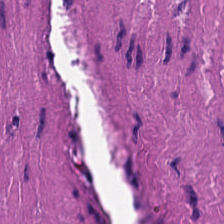H&E-stained tissue section. 0.5 µm per pixel. FFPE tissue section. Predominantly smooth-muscle tissue.
